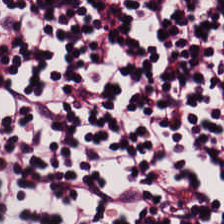20× equivalent magnification; H&E stain.
Classification: lymphoid infiltrate.
